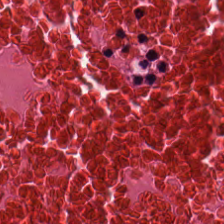H&E — debris.
